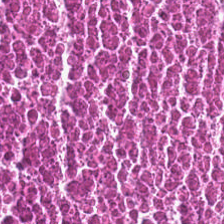H&E stain. Classification = necrotic debris.
